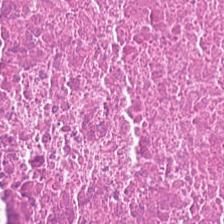Stain: H&E.
Tile size: 224×224 px patch.
Resolution: 0.5 microns per pixel.
Predominant tissue: debris.
